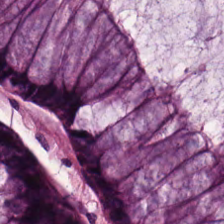H&E.
Normal colon mucosa.
